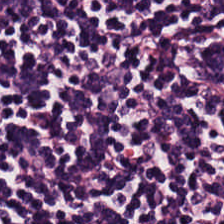Hematoxylin and eosin — Classification: lymphoid infiltrate.
